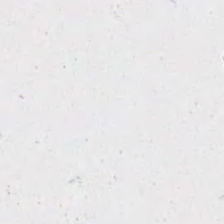Hematoxylin and eosin.
Background — no tissue in this field.
